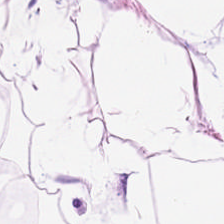Hematoxylin and eosin — Predominantly adipose.
